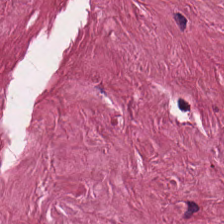Stain: H&E-stained tissue section.
Classification: cancer-associated stroma.
